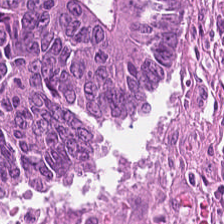The tissue here is colorectal adenocarcinoma.
